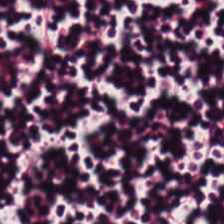H&E stain.
This field is lymphoid infiltrate.
